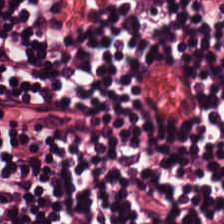Hematoxylin and eosin. Whole-slide-image patch. The predominant tissue is lymphoid infiltrate.
